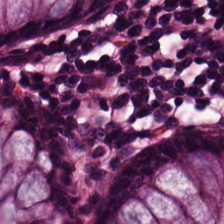The predominant tissue is non-neoplastic colon mucosa.
